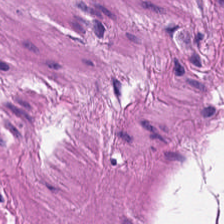H&E-stained tissue section showing muscularis.
